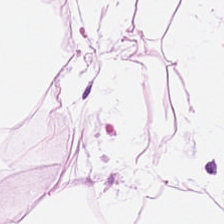H&E stain.
Tissue class = fat tissue.
